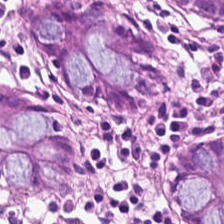H&E-stained tissue section. FFPE tissue section.
{"tissue_type": "normal colon mucosa"}
